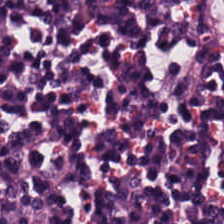H&E stain. Classification: lymphocytes.
